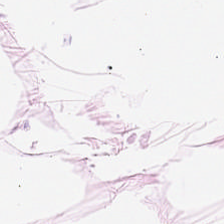H&E. 224×224 pixel tile. 0.5 µm per pixel.
Showing adipose tissue.
